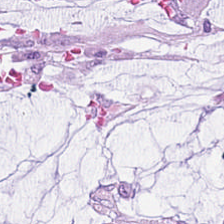H&E-stained tissue section.
The predominant tissue is mucus.
